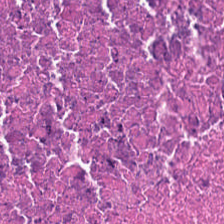Hematoxylin-and-eosin stained section.
Q: Classify this patch.
A: Debris.
